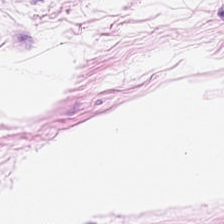Hematoxylin-and-eosin stained section — Finding → adipose.
